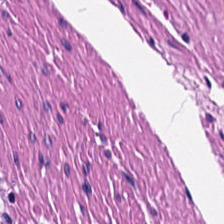H&E. This field is muscularis.
